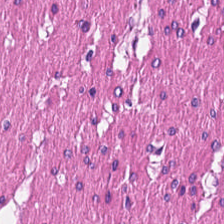Q: What is shown here?
A: The field shows muscularis.
